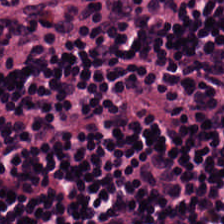H&E — Predominantly lymphocytes.
